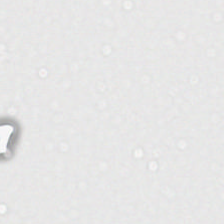Content = empty background.
